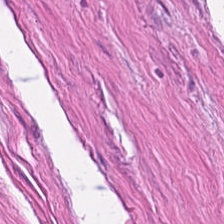Hematoxylin-and-eosin stained section; 0.5 µm/px.
This field is smooth-muscle tissue.
